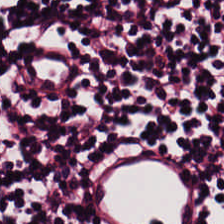Hematoxylin and eosin.
The predominant tissue is lymphoid infiltrate.
